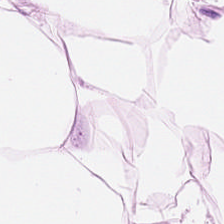Hematoxylin and eosin — Predominantly adipose tissue.
